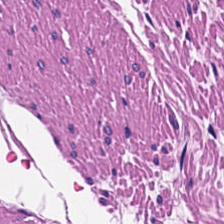H&E stain · brightfield — Predominantly smooth-muscle tissue.
